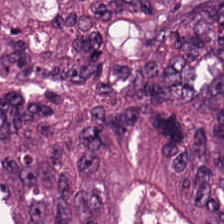224×224 px tile. Hematoxylin and eosin.
The tissue here is malignant epithelium.
